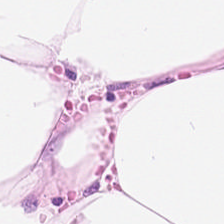The tissue class is adipose.
